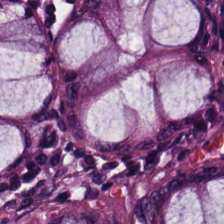Hematoxylin and eosin — This field is non-neoplastic colon mucosa.
